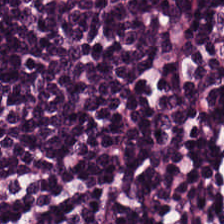Stain: H&E.
Tissue class: lymphocytic infiltrate.
